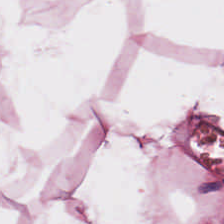Brightfield microscopy · H&E stain.
The predominant tissue is adipocytes.
